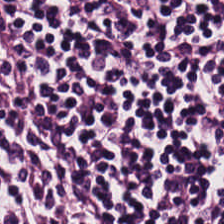H&E-stained tissue section — Lymphocytic infiltrate.
